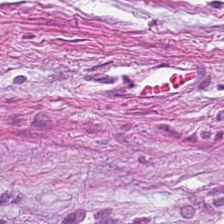H&E-stained tissue section. FFPE tissue section. Predominant tissue — tumor stroma.
